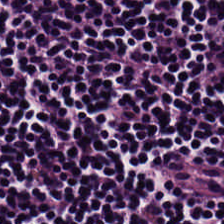Tissue = lymphocyte aggregate.
